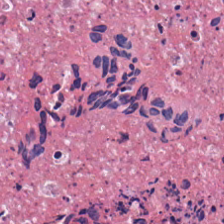Whole-slide-image patch · hematoxylin and eosin · 20× equivalent magnification. Q: Identify the tissue.
A: This is necrotic debris.
